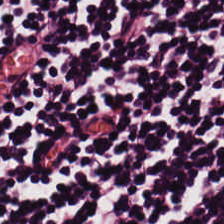H&E-stained tissue section — Lymphocytes.
